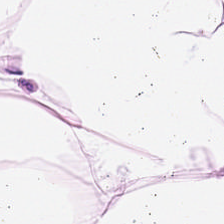Tissue: adipose.
